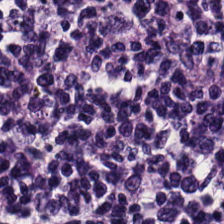FFPE tissue section · hematoxylin-and-eosin stained section. Finding — lymphocyte aggregate.
